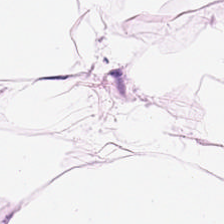H&E-stained tissue section. The tissue here is adipose.
